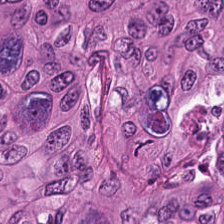Hematoxylin-and-eosin stained section. 0.5 µm/px. FFPE. Tissue class = colorectal adenocarcinoma epithelium.
